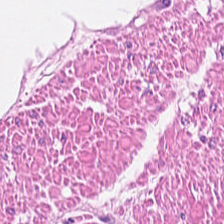224×224 px patch. Brightfield microscopy. H&E-stained tissue section — Predominantly smooth-muscle tissue.
